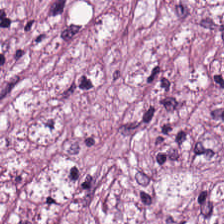H&E — Q: What does this patch show?
A: This is cancer-associated stroma.
